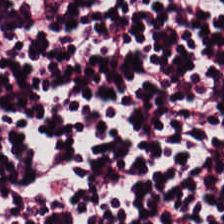H&E-stained tissue section. Lymphoid infiltrate.
